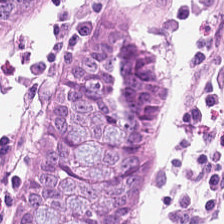Hematoxylin and eosin — Tissue — non-neoplastic colon mucosa.
